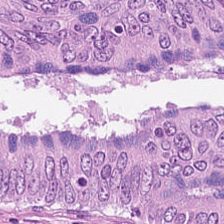Q: What does this patch show?
A: It is malignant epithelium.
